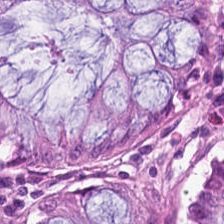Showing normal colonic mucosa.
